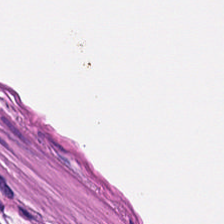Q: What is shown here?
A: It is smooth muscle.
